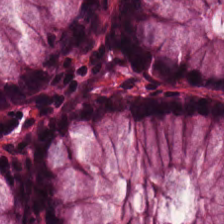0.5 microns per pixel; H&E; 224×224 px patch.
Impression → benign colonic mucosa.
